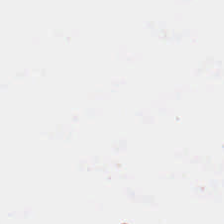H&E-stained tissue section — This patch shows background.
